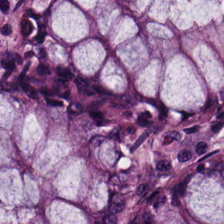Hematoxylin-and-eosin stained section. Finding — normal colon mucosa.
